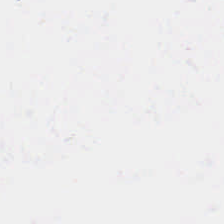Stain: hematoxylin and eosin.
Resolution: 0.5 microns per pixel.
Content: background.
